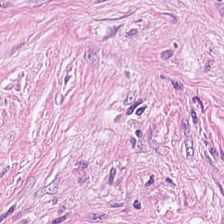H&E stain. Tumor-associated stroma.
